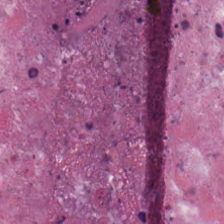Hematoxylin and eosin. 0.5 µm/px.
Showing debris.
